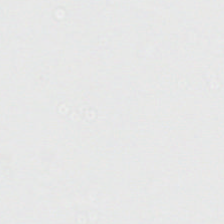Stain: hematoxylin-and-eosin stained section.
Acquisition: WSI patch.
Classification: background.
